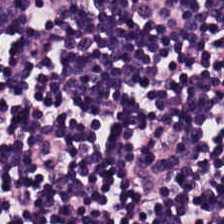Stain: H&E.
Tissue: lymphocyte aggregate.
